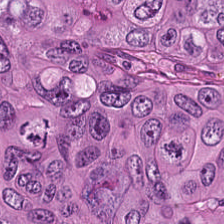Brightfield · hematoxylin and eosin · 224×224 px patch.
Tissue type: colorectal adenocarcinoma epithelium.
